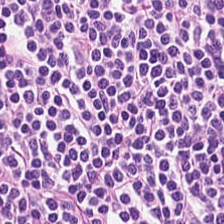WSI patch. H&E-stained tissue section. 0.5 µm/px — Lymphocytes.
